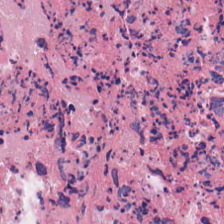Tissue type = cellular debris.
